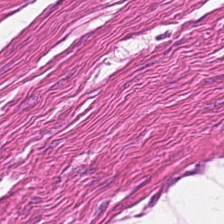Brightfield microscopy; H&E — This patch shows smooth muscle.
